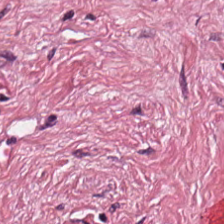H&E-stained tissue section; WSI patch — Tumor stroma.
